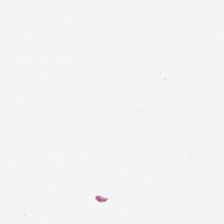H&E.
The classification is empty background.
